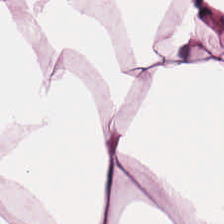20× equivalent magnification; 224×224 pixel tile; H&E.
The tissue type is adipocytes.
